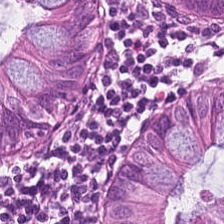H&E stain.
Q: What is shown in this field?
A: It is non-neoplastic colon mucosa.
